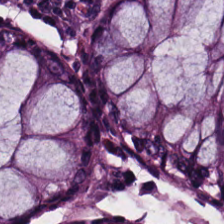Stain: hematoxylin and eosin.
Tissue type: normal colonic mucosa.
